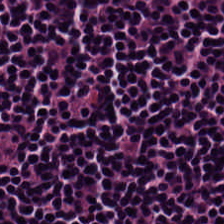H&E-stained tissue section showing lymphoid infiltrate.
